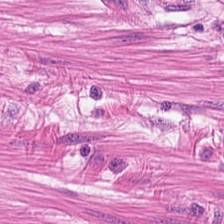H&E-stained tissue section; 0.5 µm per pixel. Impression — smooth-muscle tissue.
